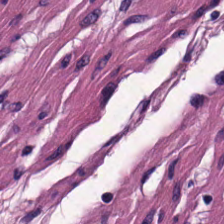Hematoxylin-and-eosin stained section.
Predominant tissue: smooth muscle.
